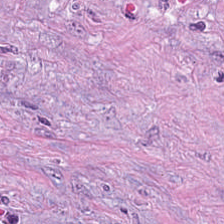224×224 px patch; whole-slide-image patch; H&E stain.
Tissue class: tumor-associated stroma.
